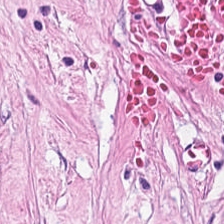Q: What does this patch show?
A: The field shows cancer-associated stroma.
